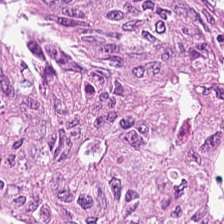H&E-stained tissue section.
The tissue class is malignant epithelium.
